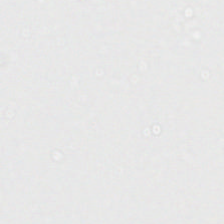The classification is no tissue.
